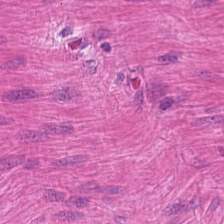Stain: H&E stain.
Predominant tissue: smooth-muscle tissue.
